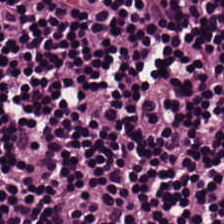Histology → lymphocytic infiltrate.
